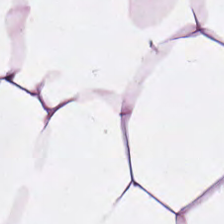Hematoxylin and eosin; formalin-fixed paraffin-embedded section; 0.5 microns per pixel — Finding — adipocytes.
